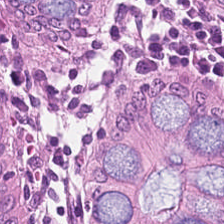Stain: H&E.
Preparation: FFPE tissue section.
Tissue: benign colonic mucosa.
